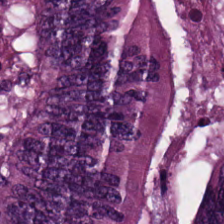Brightfield microscopy · 20× equivalent magnification · hematoxylin-and-eosin stained section.
Q: What does this patch show?
A: The field shows colorectal adenocarcinoma epithelium.
